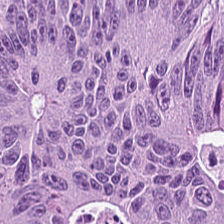H&E.
Malignant epithelium.
